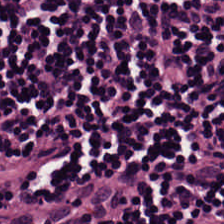Q: What does this patch show?
A: Lymphocytes.
